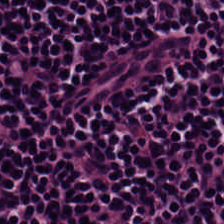This field is lymphocytes.
